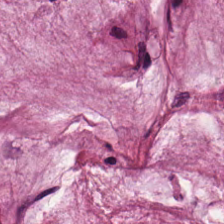Predominant tissue — mucus.
